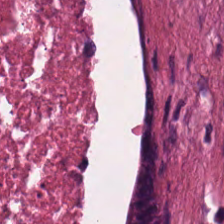Predominantly necrotic debris.
